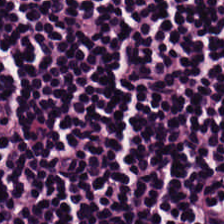Stain: hematoxylin and eosin.
Classification: lymphocytes.
